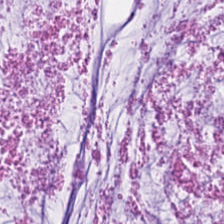H&E stain — Impression — mucin.
